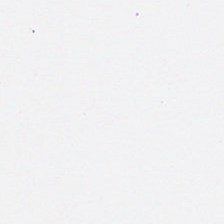Hematoxylin and eosin — The field content is no tissue.
